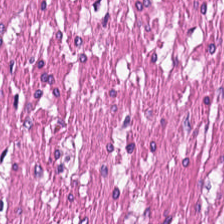This patch shows smooth-muscle tissue.
